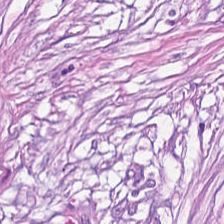Q: What type of tissue is this?
A: Tumor stroma.
